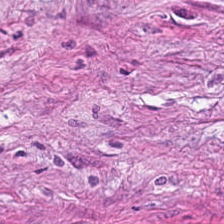Hematoxylin-and-eosin stained section.
Tissue — cancer-associated stroma.
